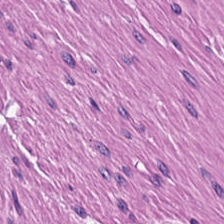H&E-stained tissue section.
The tissue is smooth-muscle tissue.
